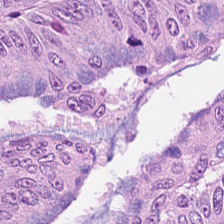H&E-stained tissue section showing tumor epithelium.
